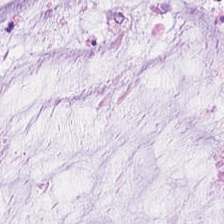Hematoxylin-and-eosin stained section. 0.5 µm per pixel. WSI patch. {"tissue_type": "mucus"}
